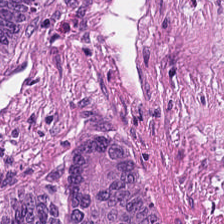H&E stain. Q: What type of tissue is this?
A: This is adenocarcinoma.
